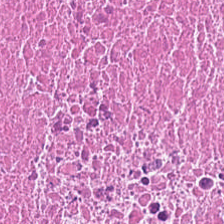Stain: hematoxylin-and-eosin stained section.
Tissue type: debris.
